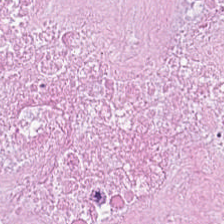WSI patch · 224×224 px patch · H&E-stained tissue section — The tissue here is necrotic debris.
